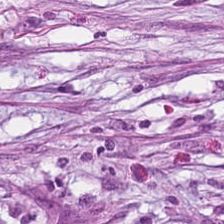Q: Classify this patch.
A: It is tumor stroma.
